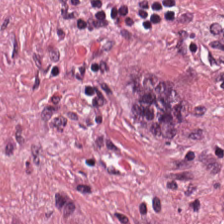Impression — tumor stroma.
